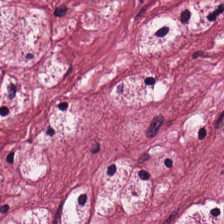FFPE tissue section. 0.5 µm per pixel. Hematoxylin-and-eosin stained section. The tissue is tumor-associated stroma.
